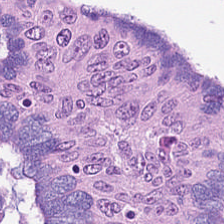Hematoxylin and eosin; formalin-fixed paraffin-embedded section — Tissue class: colorectal adenocarcinoma.
